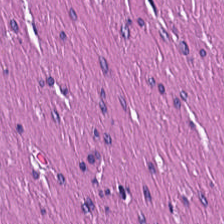Stain: H&E stain.
Tissue class: smooth muscle.
